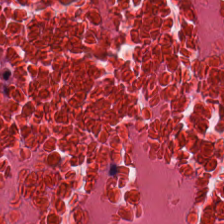Hematoxylin and eosin. 0.5 µm per pixel.
Showing debris.
